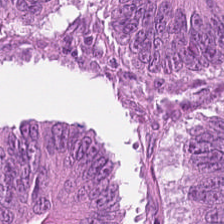Hematoxylin and eosin · 224×224 px patch.
This field is colorectal adenocarcinoma.
